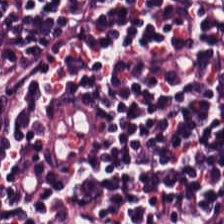0.5 microns per pixel · 224×224 pixel tile · H&E stain.
This field is lymphoid infiltrate.
